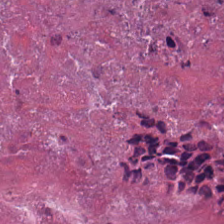Stain: hematoxylin-and-eosin stained section.
Preparation: formalin-fixed paraffin-embedded section.
Predominant tissue: debris.
